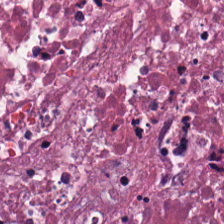0.5 µm/px; H&E.
Q: What tissue type is shown here?
A: It is necrotic debris.
